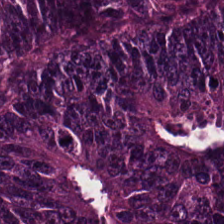The tissue here is adenocarcinoma.
